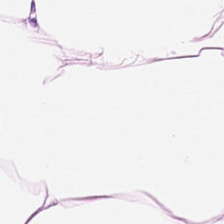H&E stain.
{"tissue_type": "adipose"}
